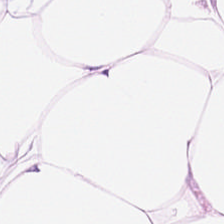H&E stain — {"tissue_type": "adipose tissue"}
